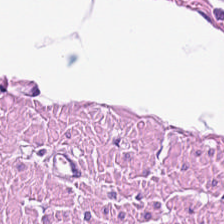The tissue class is smooth muscle.
